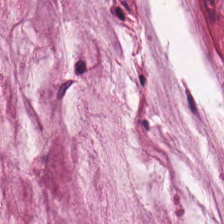{"tissue_type": "extracellular mucin"}
